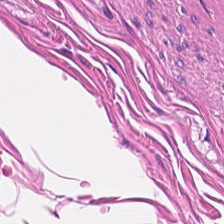224×224 px tile. H&E-stained tissue section — {"tissue_type": "smooth-muscle tissue"}
